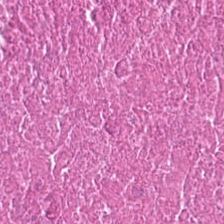The predominant tissue is cellular debris.
